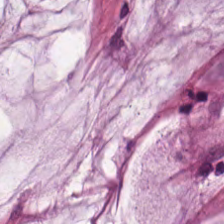Tissue type = mucin.
